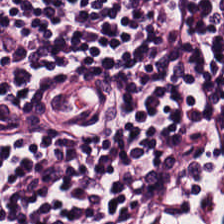Whole-slide-image patch; H&E-stained tissue section. This patch shows lymphocytic infiltrate.
